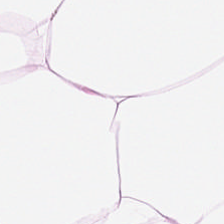Q: Identify the tissue.
A: It is fat tissue.
